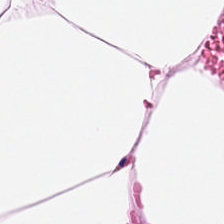Hematoxylin and eosin. FFPE tissue section. Whole-slide-image patch.
Finding — fat tissue.
